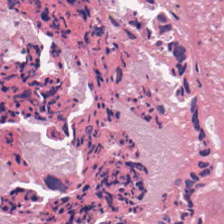This field is cellular debris.
